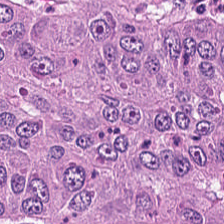Q: What type of tissue is this?
A: The field shows malignant epithelium.
